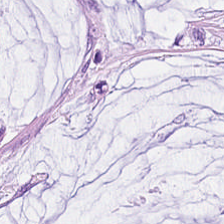Stain: hematoxylin-and-eosin stained section.
Resolution: 0.5 µm/px.
Acquisition: WSI patch.
Classification: mucin.
